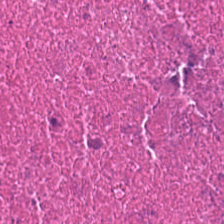Brightfield microscopy. H&E-stained tissue section. FFPE tissue section.
Q: What tissue type is shown here?
A: Cellular debris.
